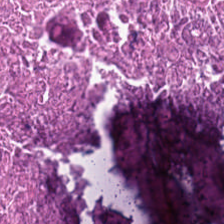Stain: H&E-stained tissue section.
Predominant tissue: debris.
